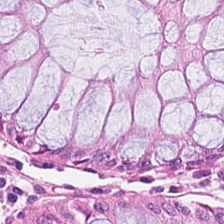H&E. This field is benign colonic mucosa.
